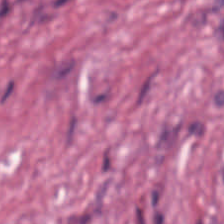Hematoxylin-and-eosin stained section; whole-slide-image patch. Tissue type = tumor-associated stroma.
